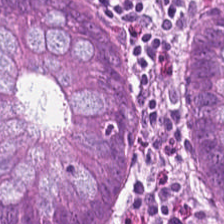Tissue class: benign colonic mucosa.
